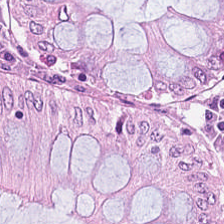Brightfield microscopy; 20× equivalent magnification; H&E stain.
This patch shows normal colon mucosa.
